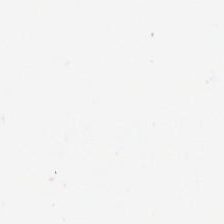H&E stain — Background — no tissue in this field.
